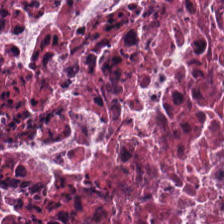Showing necrotic debris.
